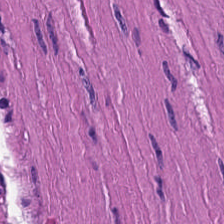This patch shows muscularis.
